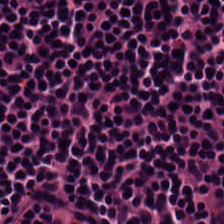H&E stain.
This patch shows lymphoid infiltrate.
